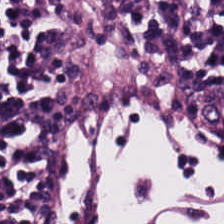H&E-stained tissue section — {"tissue_type": "lymphocytes"}
